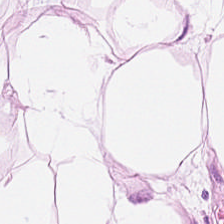Hematoxylin-and-eosin stained section. Histology → fat tissue.
